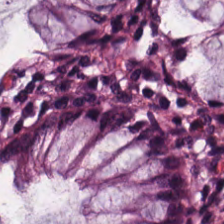Hematoxylin and eosin — Showing normal colonic mucosa.
